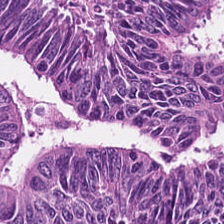Formalin-fixed paraffin-embedded section · hematoxylin-and-eosin stained section. Histology — malignant epithelium.
